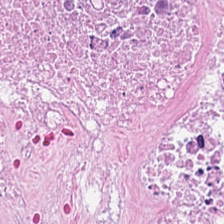H&E stain — Necrotic debris.
